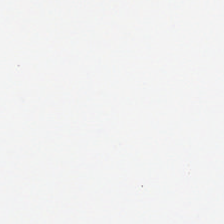Q: What does this patch show?
A: It is background (no tissue).
